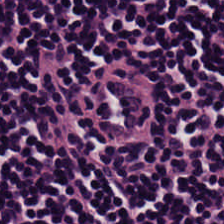H&E; formalin-fixed paraffin-embedded section. The predominant tissue is lymphocytes.
